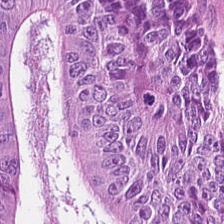FFPE. 224×224 px tile. Hematoxylin and eosin.
The tissue is colorectal adenocarcinoma.
